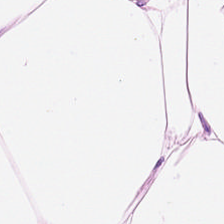Brightfield. H&E — Predominantly adipose tissue.
